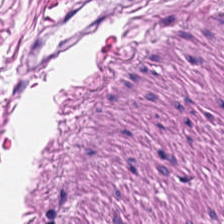Hematoxylin-and-eosin stained section.
Q: What does this patch show?
A: Smooth muscle.
